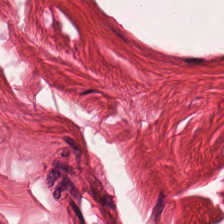H&E. 0.5 µm per pixel — Tissue = smooth muscle.
